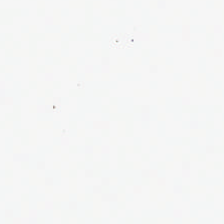Hematoxylin and eosin · formalin-fixed paraffin-embedded section. Q: What does this patch show?
A: The field shows empty background.
